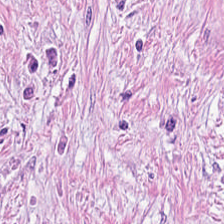Tissue = cancer-associated stroma.
